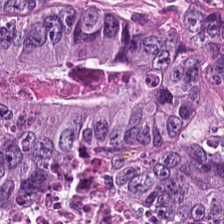H&E-stained tissue section. Brightfield. Q: Identify the tissue.
A: It is colorectal adenocarcinoma.
